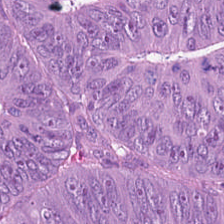H&E stain — Tumor epithelium.
